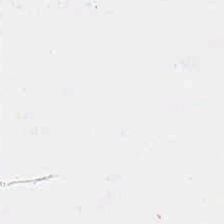Formalin-fixed paraffin-embedded section. H&E. Brightfield microscopy. {"content": "background"}
